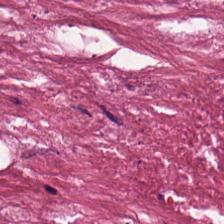Hematoxylin and eosin — Q: Classify this patch.
A: The field shows necrotic debris.
